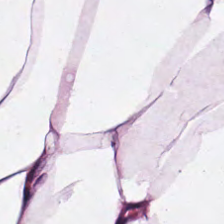H&E-stained tissue section. Q: What tissue is shown?
A: This is adipocytes.
